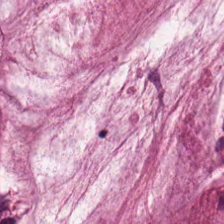H&E stain — The predominant tissue is mucin.
